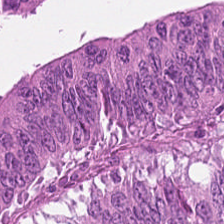Hematoxylin and eosin — {"tissue_type": "malignant epithelium"}
